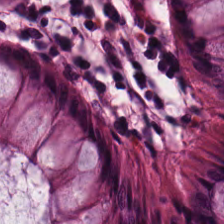Stain: hematoxylin and eosin.
Predominant tissue: normal colonic mucosa.
